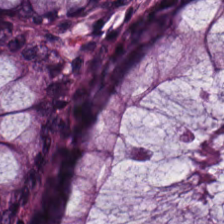Tissue type = benign colonic mucosa.
